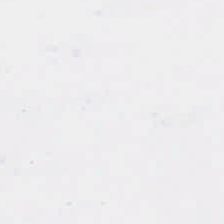Content: no tissue.
